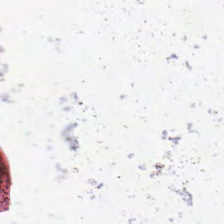Hematoxylin and eosin.
This field is background (no tissue).
